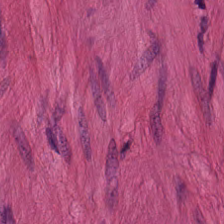H&E stain · 224×224 px tile. The predominant tissue is smooth muscle.
